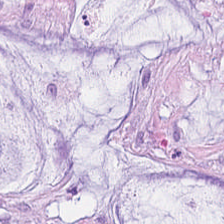This field is mucin.
